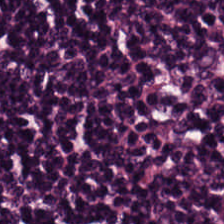H&E stain. Tissue type: lymphoid infiltrate.
